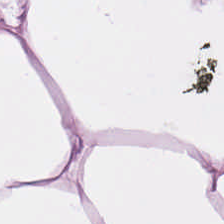0.5 microns per pixel; hematoxylin-and-eosin stained section.
Finding → adipocytes.
